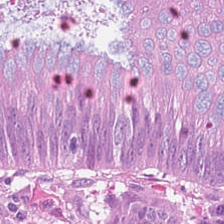Formalin-fixed paraffin-embedded section. H&E.
This field is malignant epithelium.
